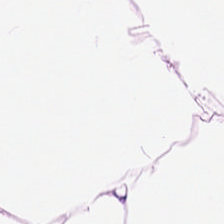Stain: H&E-stained tissue section.
Tile size: 224×224 px tile.
Tissue: fat tissue.
